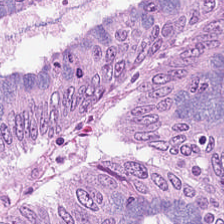Whole-slide-image patch; 224×224 pixel tile; H&E-stained tissue section. Finding — colorectal adenocarcinoma.
